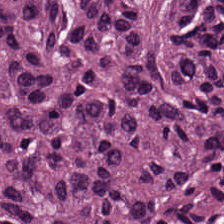Brightfield microscopy · H&E.
This patch shows malignant epithelium.
